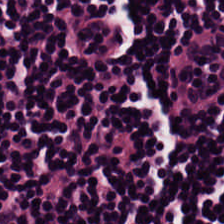224×224 px patch · H&E — Showing lymphocyte aggregate.
